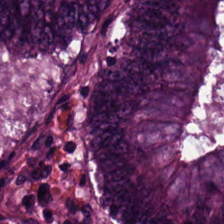H&E-stained tissue section.
This field is tumor epithelium.
